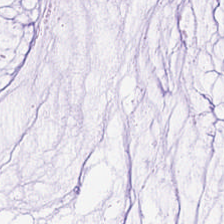Hematoxylin and eosin. Whole-slide-image patch. 0.5 µm/px.
Predominant tissue — extracellular mucin.
